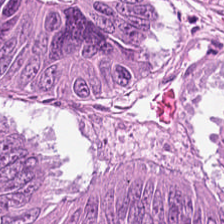0.5 µm/px. Brightfield. Hematoxylin and eosin — Q: What is shown in this field?
A: It is adenocarcinoma.
